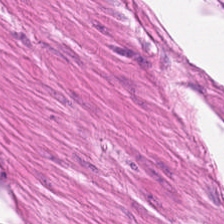H&E stain; 0.5 µm per pixel; FFPE. Showing smooth-muscle tissue.
